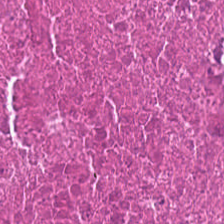Hematoxylin and eosin.
This field is necrotic debris.
